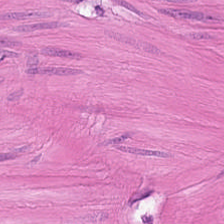Stain: H&E.
Predominant tissue: muscularis.
